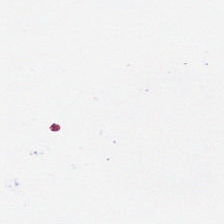H&E-stained tissue section.
Content = background (no tissue).
